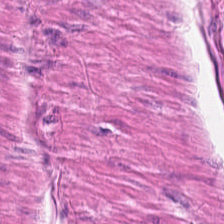FFPE tissue section; hematoxylin-and-eosin stained section.
Smooth-muscle tissue.
